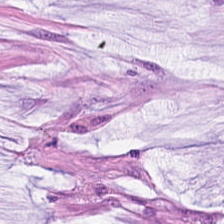H&E stain. 20× equivalent magnification. FFPE. The tissue is mucin.
